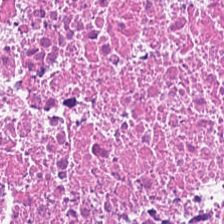FFPE tissue section. Hematoxylin-and-eosin stained section. Q: What type of tissue is this?
A: This is necrotic debris.
